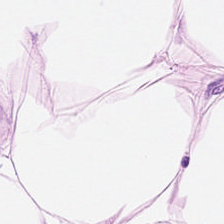224×224 px tile · whole-slide-image patch · H&E-stained tissue section.
Adipose tissue.
